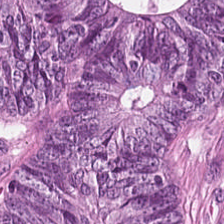Hematoxylin-and-eosin stained section.
Finding — malignant epithelium.
